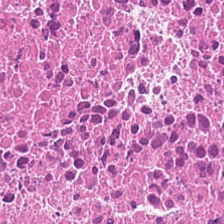Stain: H&E-stained tissue section.
Tissue class: cellular debris.
